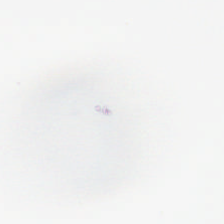H&E; formalin-fixed paraffin-embedded section — This field is background (no tissue).
